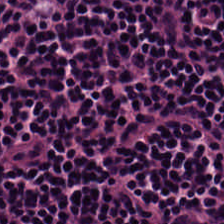H&E; formalin-fixed paraffin-embedded section.
The classification is lymphocytic infiltrate.
